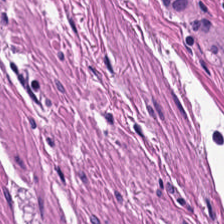Formalin-fixed paraffin-embedded section · whole-slide-image patch · H&E-stained tissue section.
The predominant tissue is muscularis.
